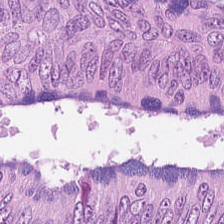Predominant tissue: malignant epithelium.
